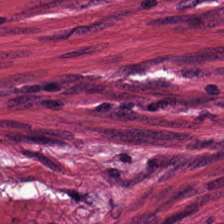20× equivalent magnification. H&E stain. Brightfield microscopy.
The tissue here is cancer-associated stroma.
